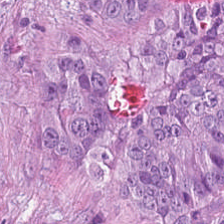Whole-slide-image patch. H&E stain. Classification: colorectal adenocarcinoma epithelium.
